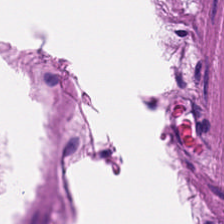H&E stain.
Q: What does this patch show?
A: It is smooth muscle.
